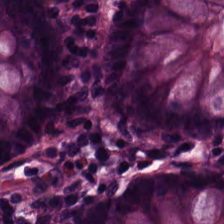Q: What is the predominant tissue type?
A: The field shows benign colonic mucosa.
